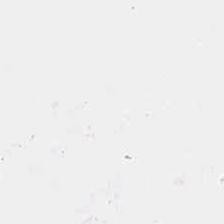Background — no tissue in this field.
